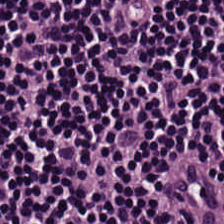Hematoxylin-and-eosin stained section; WSI patch. Q: What is shown in this field?
A: The field shows lymphocyte aggregate.
